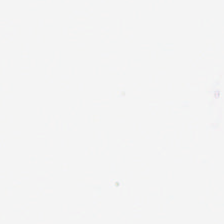H&E.
Field content — background (no tissue).
